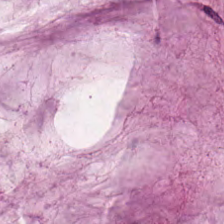H&E. This patch shows mucus.
